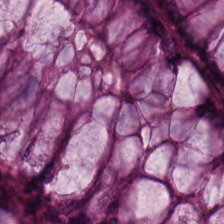H&E stain — The tissue type is normal colon mucosa.
